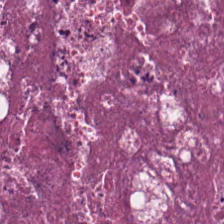224×224 px patch. H&E-stained tissue section. Showing cellular debris.
